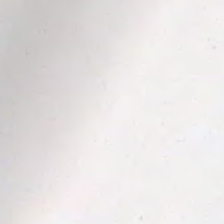H&E-stained tissue section — This patch shows empty background.
